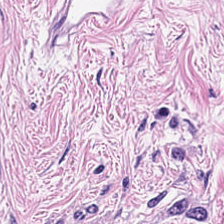Stain: H&E.
Tissue class: tumor stroma.
